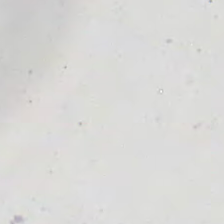Field content = empty background.
